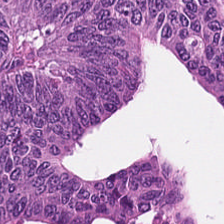Hematoxylin-and-eosin stained section. Brightfield — Q: What is shown here?
A: The field shows malignant epithelium.
